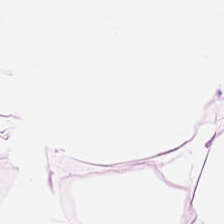H&E · 0.5 µm per pixel · brightfield. Predominantly fat tissue.
